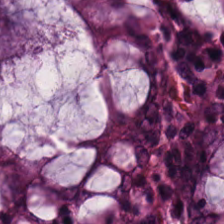H&E-stained tissue section. This field is normal colonic mucosa.
